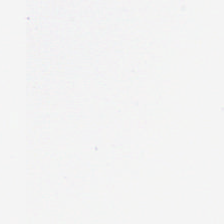Finding — background.
